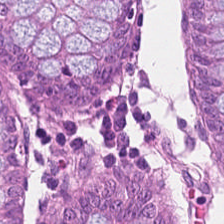H&E stain. This field is non-neoplastic colon mucosa.
